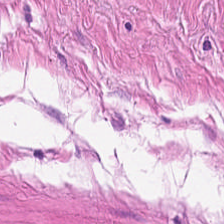H&E. Predominant tissue — muscularis.
